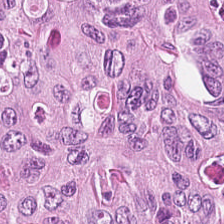FFPE · H&E-stained tissue section. {"tissue_type": "malignant epithelium"}
